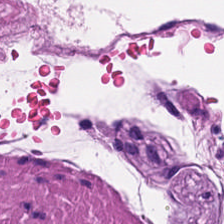H&E-stained tissue section — Finding — smooth muscle.
